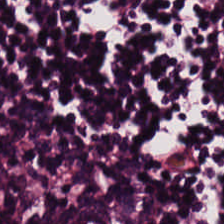Brightfield microscopy. Hematoxylin-and-eosin stained section. 20× equivalent magnification — Predominantly lymphoid infiltrate.
